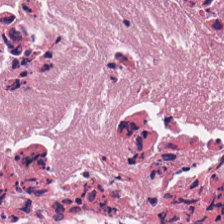H&E-stained tissue section — This patch shows necrotic debris.
